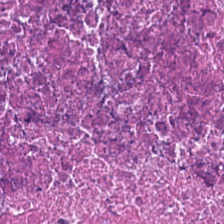Formalin-fixed paraffin-embedded section · H&E.
The predominant tissue is debris.
